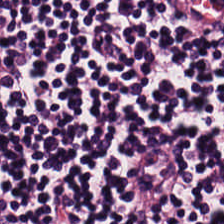Hematoxylin and eosin. Formalin-fixed paraffin-embedded section — This patch shows lymphocyte aggregate.
